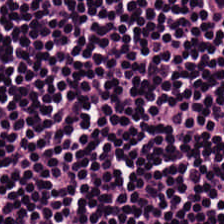H&E-stained tissue section — Predominantly lymphocytic infiltrate.
